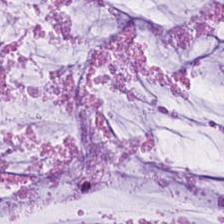H&E. FFPE. The tissue here is mucus.
